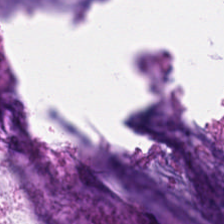Stain: hematoxylin-and-eosin stained section.
Resolution: 20× equivalent magnification.
Tissue class: mucin.
